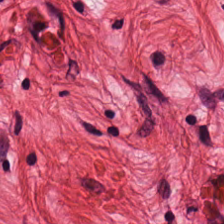0.5 µm per pixel · H&E stain — Q: Identify the tissue.
A: The field shows muscularis.
